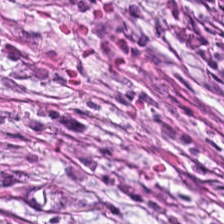H&E stain. Finding — desmoplastic stroma.
